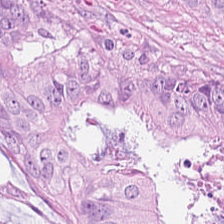224×224 pixel tile. H&E. 20× equivalent magnification — The predominant tissue is malignant epithelium.
